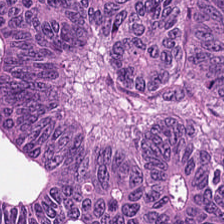H&E-stained tissue section — The tissue type is adenocarcinoma.
